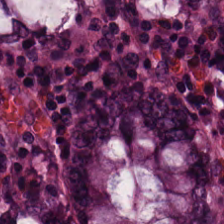Hematoxylin-and-eosin stained section. Tissue — non-neoplastic colon mucosa.
